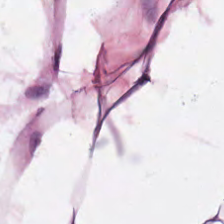H&E stain — Q: What tissue is shown?
A: It is adipose.
